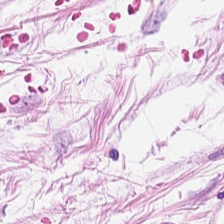Stain: H&E-stained tissue section.
Tissue type: fat tissue.
